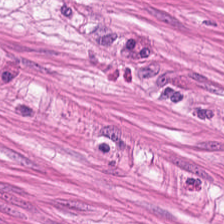H&E-stained tissue section — Q: What is shown in this field?
A: This is smooth muscle.
